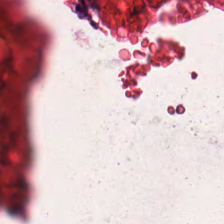H&E. Predominantly smooth-muscle tissue.
